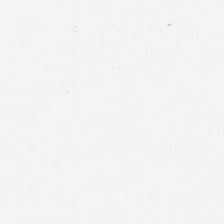H&E-stained tissue section.
Background — no tissue in this field.
